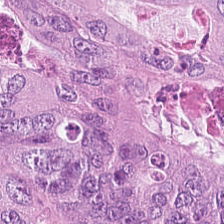H&E — {"tissue_type": "colorectal adenocarcinoma"}
